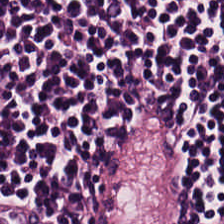Hematoxylin-and-eosin stained section. {"tissue_type": "lymphocytes"}
